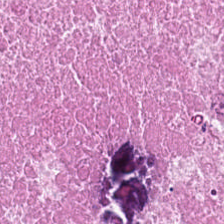Hematoxylin and eosin — Tissue class: cellular debris.
